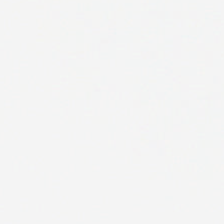0.5 µm/px; H&E-stained tissue section — Content = background (no tissue).
